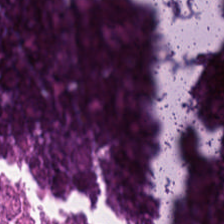Impression — debris.
